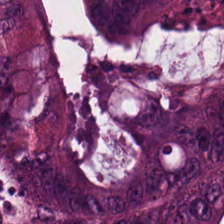224×224 px tile · H&E-stained tissue section. The tissue class is adenocarcinoma.
